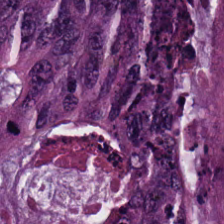H&E-stained tissue section. Predominant tissue: malignant epithelium.
